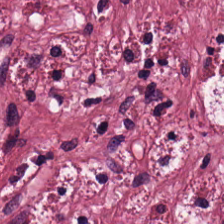H&E stain.
{"tissue_type": "cancer-associated stroma"}
